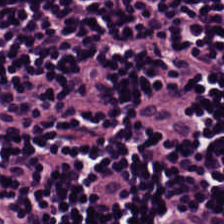Q: What is shown here?
A: This is lymphocytes.
